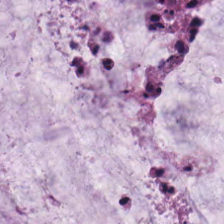Histology → extracellular mucin.
